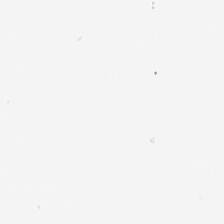Hematoxylin-and-eosin stained section.
Q: What is shown here?
A: It is background.
